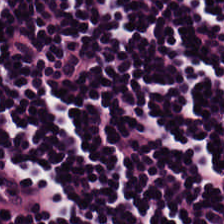Stain: hematoxylin and eosin.
Resolution: 0.5 µm per pixel.
Tissue type: lymphocytes.
